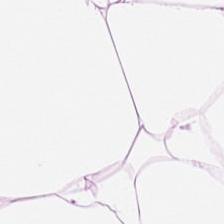Hematoxylin-and-eosin stained section. Brightfield microscopy. Formalin-fixed paraffin-embedded section. Predominantly adipose tissue.
